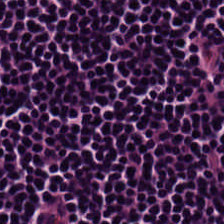This patch shows lymphoid infiltrate.
